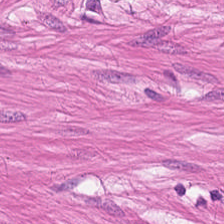224×224 px tile. Formalin-fixed paraffin-embedded section. Hematoxylin and eosin.
The classification is muscularis.
